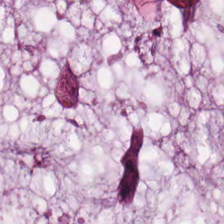Q: What is shown in this field?
A: Extracellular mucin.
